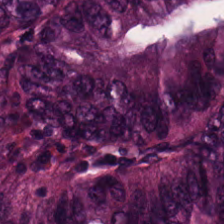20× equivalent magnification. Hematoxylin and eosin. FFPE. The tissue here is colorectal adenocarcinoma epithelium.
